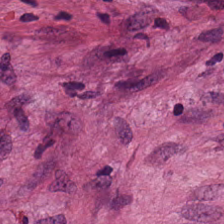20× equivalent magnification; H&E-stained tissue section.
The tissue here is tumor stroma.
